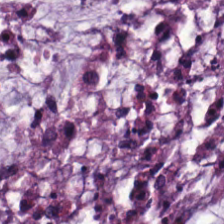H&E-stained tissue section. Tissue type: mucus.
